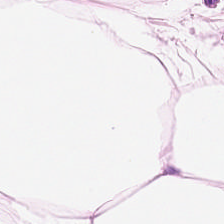H&E stain — Finding — adipose.
